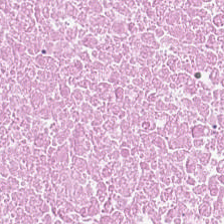Q: What is the predominant tissue type?
A: Debris.
